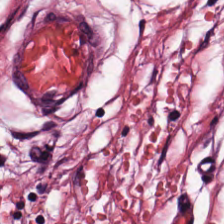Hematoxylin-and-eosin stained section — {"tissue_type": "tumor stroma"}
